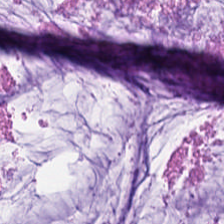Hematoxylin-and-eosin stained section; FFPE tissue section. Tissue type: mucin.
